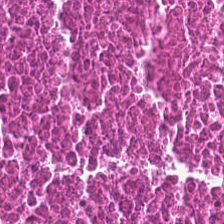0.5 µm per pixel. H&E-stained tissue section — The tissue here is debris.
